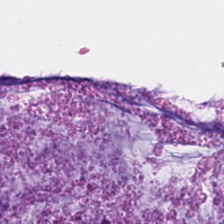Classification: mucin.
